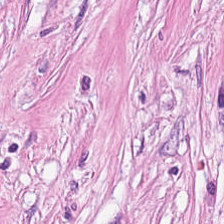Stain: H&E-stained tissue section.
Tissue class: cancer-associated stroma.
